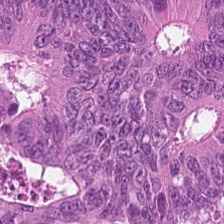Stain: hematoxylin-and-eosin stained section.
Tissue type: malignant epithelium.
